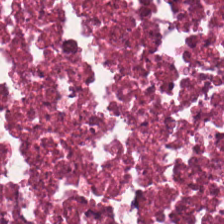{"tissue_type": "debris"}
